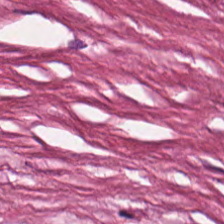Tissue = debris.
